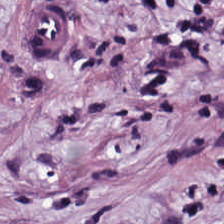Predominantly tumor-associated stroma.
